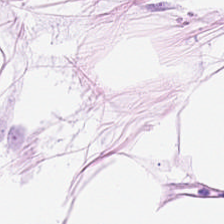H&E-stained tissue section. Brightfield. Predominantly adipose.
